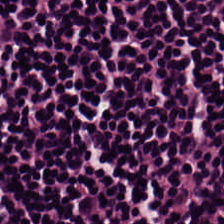Hematoxylin-and-eosin stained section. Predominantly lymphocytes.
